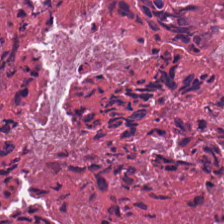0.5 microns per pixel. Hematoxylin-and-eosin stained section. 224×224 pixel tile.
Impression — debris.
